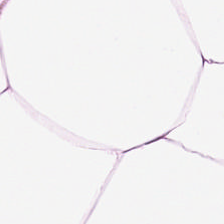WSI patch; FFPE; H&E-stained tissue section. The tissue type is fat tissue.
